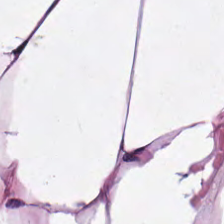H&E-stained tissue section · 224×224 pixel tile — Predominant tissue: adipocytes.
